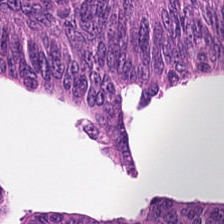Hematoxylin-and-eosin section: adenocarcinoma.
